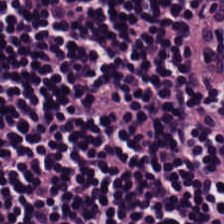Tissue: lymphocytes.
